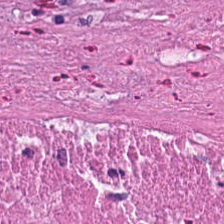Hematoxylin-and-eosin stained section — Predominant tissue: necrotic debris.
